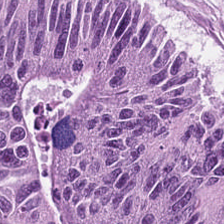H&E stain · 20× equivalent magnification. Q: What tissue is shown?
A: Tumor epithelium.
